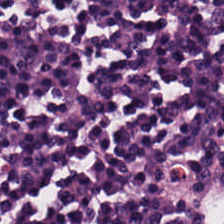Q: Identify the tissue.
A: It is lymphocyte aggregate.
